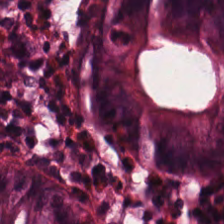{"tissue_type": "benign colonic mucosa"}
